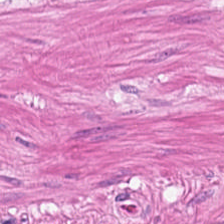H&E-stained tissue section. Impression → smooth-muscle tissue.
